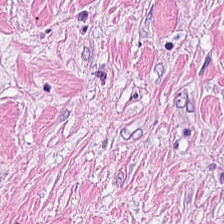20× equivalent magnification. FFPE. H&E — Q: What does this patch show?
A: Tumor-associated stroma.
